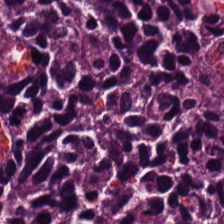H&E stain.
Q: What is shown here?
A: It is lymphocytic infiltrate.
